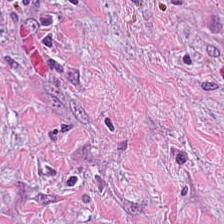H&E stain.
Tissue type: tumor-associated stroma.
